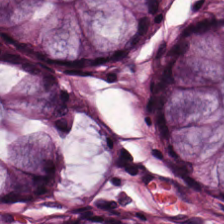Stain: hematoxylin and eosin.
Preparation: formalin-fixed paraffin-embedded section.
Tissue type: non-neoplastic colon mucosa.
